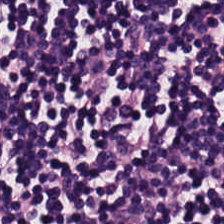Hematoxylin and eosin.
Lymphocytic infiltrate.
